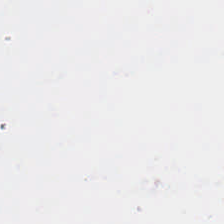Stain: H&E stain.
Content: background (no tissue).
